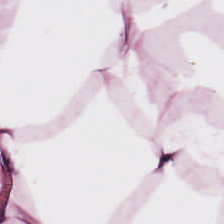224×224 pixel tile. Hematoxylin-and-eosin stained section. This patch shows adipocytes.
